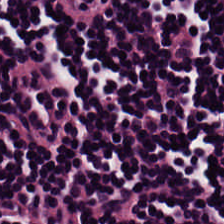H&E. 20× equivalent magnification. 224×224 px tile — The tissue type is lymphocytes.
